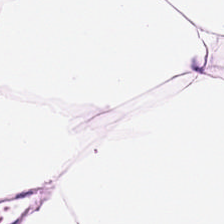Hematoxylin-and-eosin stained section · brightfield microscopy.
This patch shows fat tissue.
